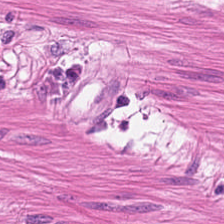0.5 microns per pixel; FFPE; hematoxylin and eosin.
Tissue type = muscularis.
